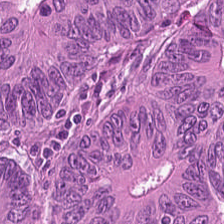Stain: H&E stain.
Tissue: tumor epithelium.
